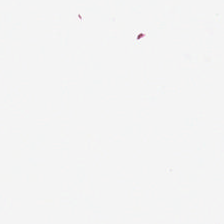0.5 µm/px; FFPE tissue section; H&E-stained tissue section — Background — no tissue in this field.
